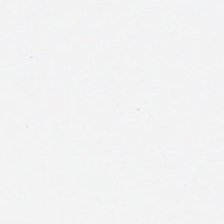H&E-stained tissue section.
Field content — background (no tissue).
